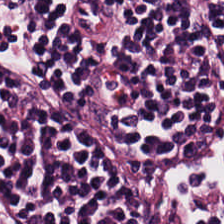Hematoxylin-and-eosin stained section. This patch shows lymphocytes.
